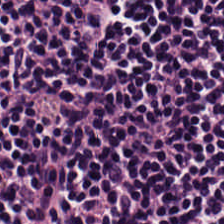Q: What does this patch show?
A: The field shows lymphocyte aggregate.
